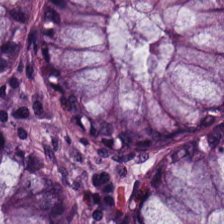Tissue type: non-neoplastic colon mucosa.
